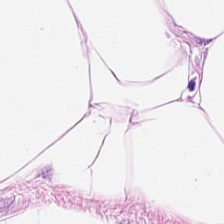Hematoxylin-and-eosin stained section. Q: What is shown in this field?
A: Adipocytes.
